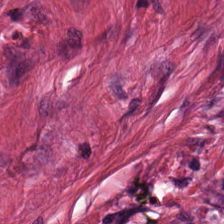H&E stain. FFPE — Tumor stroma.
